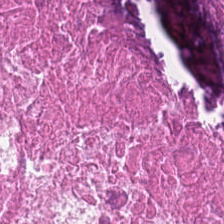Hematoxylin-and-eosin stained section; FFPE.
Tissue class = cellular debris.
